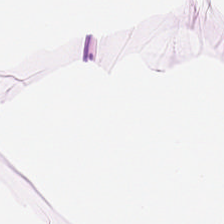Stain: hematoxylin and eosin.
Tissue: fat tissue.
